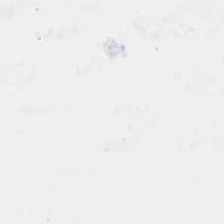Hematoxylin-and-eosin stained section. Q: Classify this patch.
A: The field shows background (no tissue).
